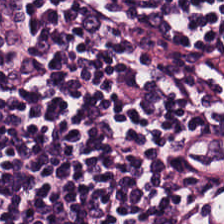Stain: H&E.
Preparation: FFPE tissue section.
Tissue class: lymphocyte aggregate.
